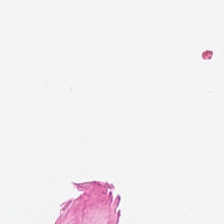Brightfield microscopy. Hematoxylin and eosin — {"content": "no tissue"}
